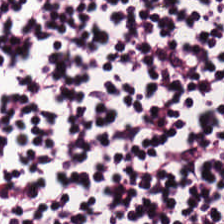H&E. This field is lymphoid infiltrate.
